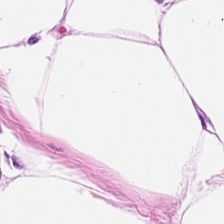H&E stain — Histology — adipocytes.
